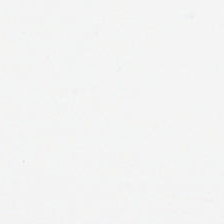Stain: H&E.
Tile size: 224×224 px patch.
Content: background.
